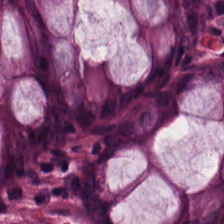Formalin-fixed paraffin-embedded section; hematoxylin and eosin; 224×224 px tile — Non-neoplastic colon mucosa.
